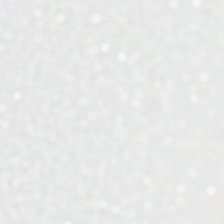Hematoxylin and eosin.
The field content is background.
